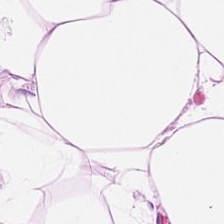Formalin-fixed paraffin-embedded section; hematoxylin and eosin; brightfield — Tissue — adipocytes.
